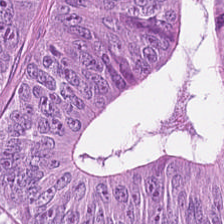Hematoxylin-and-eosin stained section — The tissue is colorectal adenocarcinoma.
